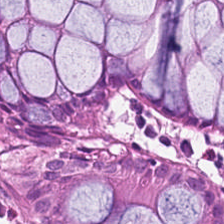20× equivalent magnification · hematoxylin-and-eosin stained section.
Non-neoplastic colon mucosa.
